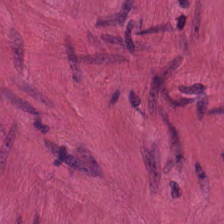0.5 µm per pixel · hematoxylin and eosin · 224×224 pixel tile.
Predominantly muscularis.
